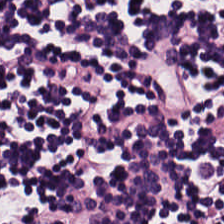0.5 µm per pixel; hematoxylin-and-eosin stained section; 224×224 pixel tile. The tissue here is lymphocytes.
